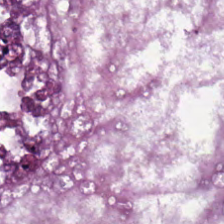H&E — The tissue here is colorectal adenocarcinoma epithelium.
